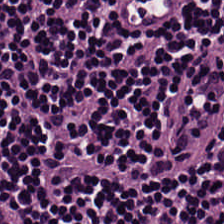H&E; 0.5 µm per pixel.
The predominant tissue is lymphoid infiltrate.
